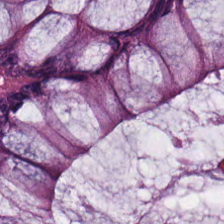H&E. 224×224 pixel tile — Tissue type — normal colonic mucosa.
